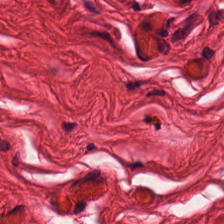Brightfield; 224×224 px tile; H&E. Q: Identify the tissue.
A: This is smooth-muscle tissue.
